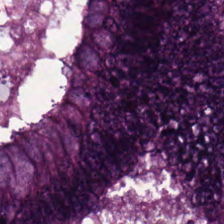H&E stain; 224×224 px patch; 0.5 µm per pixel. Predominantly malignant epithelium.
